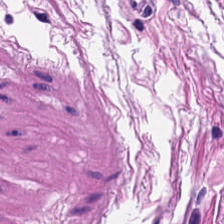Tissue class — muscularis.
